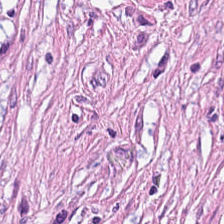0.5 µm/px · H&E stain. Q: What tissue is shown?
A: It is cancer-associated stroma.
